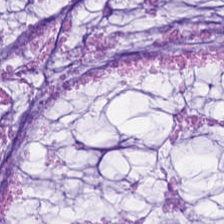H&E.
The predominant tissue is mucus.
